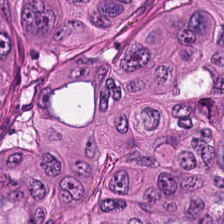The tissue is adenocarcinoma.
